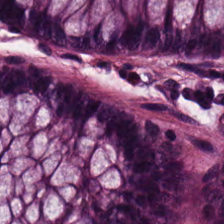The predominant tissue is non-neoplastic colon mucosa.
